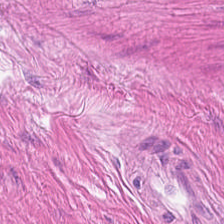H&E. Histology → smooth-muscle tissue.
